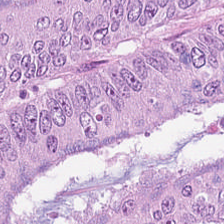Formalin-fixed paraffin-embedded section; hematoxylin-and-eosin stained section.
Showing colorectal adenocarcinoma epithelium.
